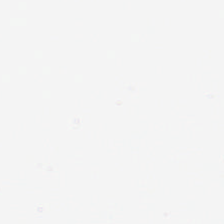H&E — Q: What is shown in this field?
A: This is no tissue.
